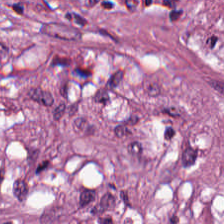H&E-stained tissue section · 224×224 px tile.
{"tissue_type": "tumor-associated stroma"}
